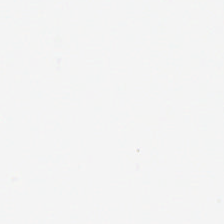Hematoxylin and eosin.
Background.
